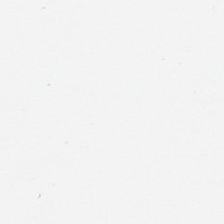FFPE tissue section. 0.5 µm per pixel. Hematoxylin-and-eosin stained section.
Finding → background (no tissue).
